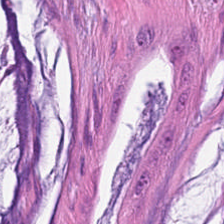WSI patch · hematoxylin-and-eosin stained section · 0.5 µm per pixel.
Predominantly mucus.
